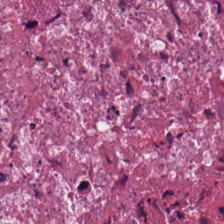H&E — Q: Identify the tissue.
A: The field shows debris.
